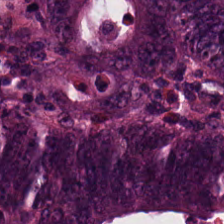Tissue type — malignant epithelium.
